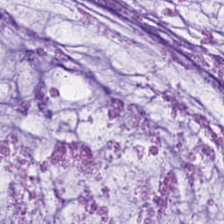Hematoxylin-and-eosin stained section.
Impression — mucin.
